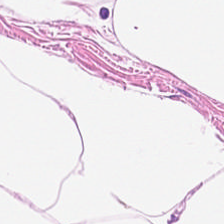Hematoxylin and eosin · WSI patch.
Q: Identify the tissue.
A: The field shows adipocytes.
